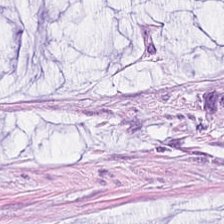FFPE. Brightfield. H&E. Histology — mucin.
